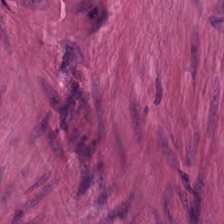H&E-stained tissue section. 0.5 µm/px. 224×224 px patch — This patch shows muscularis.
